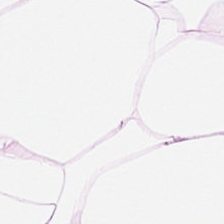Hematoxylin-and-eosin stained section; brightfield microscopy — This field is adipose.
